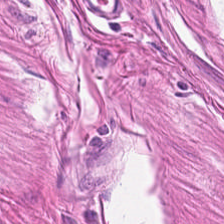Tissue type = smooth-muscle tissue.
